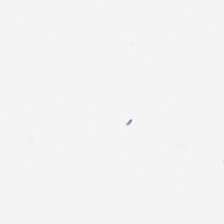224×224 px tile; hematoxylin-and-eosin stained section; FFPE.
No tissue present; background only.
